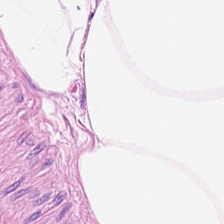Hematoxylin-and-eosin stained section — The tissue here is adipocytes.
